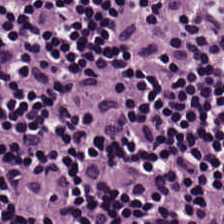Stain: H&E.
Preparation: FFPE.
Tissue class: lymphocytic infiltrate.
